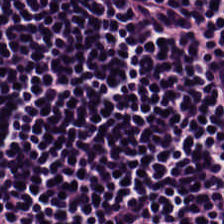Stain: H&E.
Predominant tissue: lymphocytic infiltrate.
